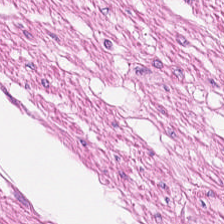This field is smooth-muscle tissue.
